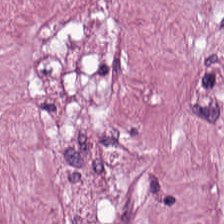H&E. 0.5 µm per pixel. Finding → tumor stroma.
